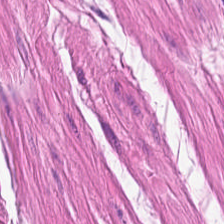Predominantly muscularis.
